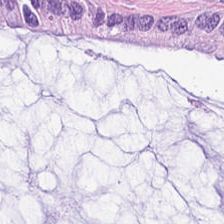H&E-stained tissue section. Showing extracellular mucin.
